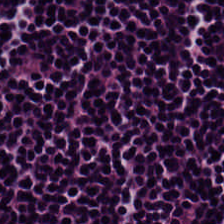Brightfield; H&E.
Histology → lymphocyte aggregate.
